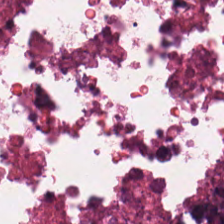Hematoxylin and eosin · FFPE tissue section — Predominant tissue — debris.
